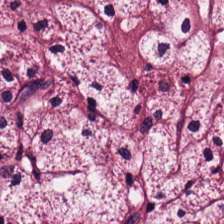Hematoxylin-and-eosin stained section. Showing cancer-associated stroma.
